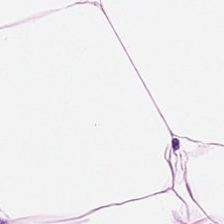This field is fat tissue.
